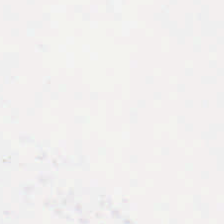0.5 microns per pixel · hematoxylin-and-eosin stained section.
Classification: no tissue.
